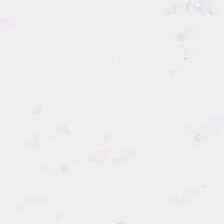H&E — Finding → no tissue.
